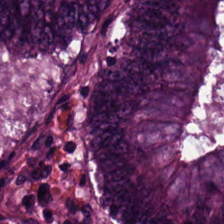224×224 px tile · hematoxylin-and-eosin stained section · brightfield.
Histology → colorectal adenocarcinoma.
